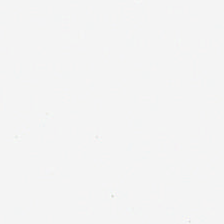H&E — This patch shows background.
